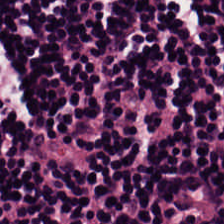224×224 px tile; 0.5 µm per pixel; hematoxylin-and-eosin stained section — Classification: lymphocytic infiltrate.
